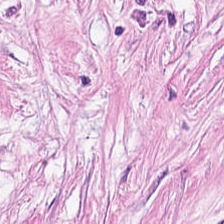H&E stain. Cancer-associated stroma.
